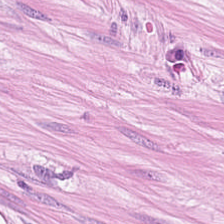Brightfield microscopy · 224×224 px patch · H&E stain. This field is smooth-muscle tissue.
